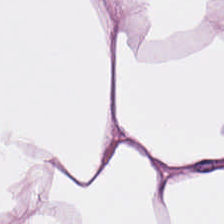H&E-stained tissue section. Tissue class = adipocytes.
